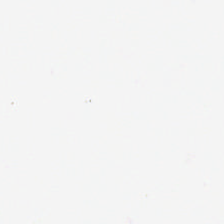Hematoxylin and eosin. Finding — empty background.
